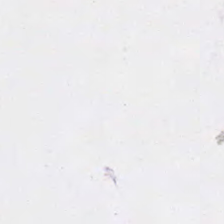Hematoxylin and eosin. Empty background.
